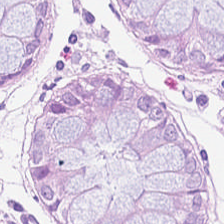Hematoxylin and eosin.
Q: Classify this patch.
A: It is normal colonic mucosa.
